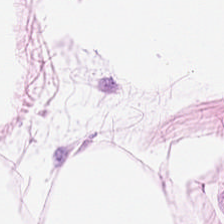Q: What tissue is shown?
A: It is adipose.
